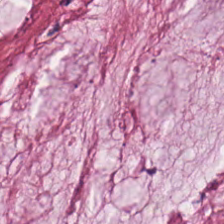Hematoxylin-and-eosin stained section. Q: What tissue is shown?
A: Mucin.
